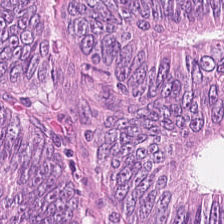Q: What is shown in this field?
A: This is adenocarcinoma.
